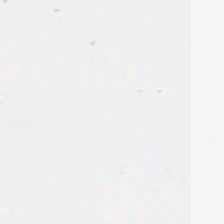Stain: H&E stain.
Field content: background (no tissue).
